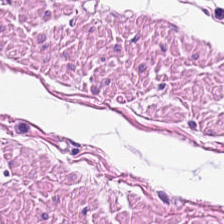The predominant tissue is muscularis.
